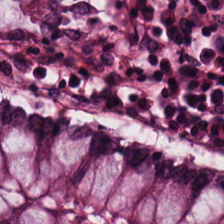Q: Classify this patch.
A: It is normal colonic mucosa.
